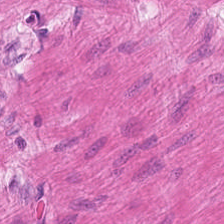Tissue — smooth muscle.
